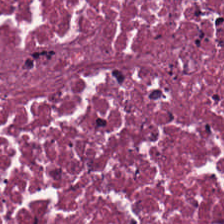The predominant tissue is cellular debris.
